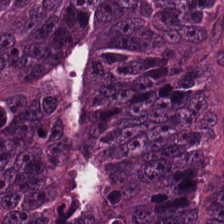Hematoxylin and eosin — The tissue class is malignant epithelium.
